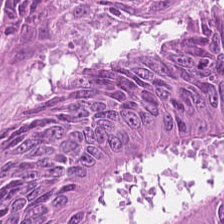Stain: hematoxylin and eosin.
Tissue class: colorectal adenocarcinoma epithelium.
